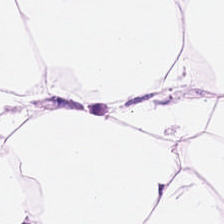H&E stain.
Adipose.
